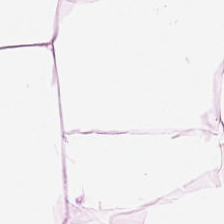224×224 px patch · 20× equivalent magnification · H&E stain. This field is fat tissue.
